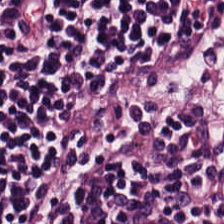Hematoxylin and eosin. The tissue here is lymphoid infiltrate.
